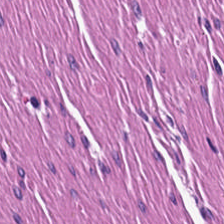20× equivalent magnification; H&E stain.
The predominant tissue is smooth muscle.
